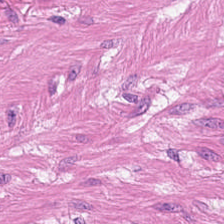Hematoxylin and eosin — Q: What is the predominant tissue type?
A: This is smooth muscle.
